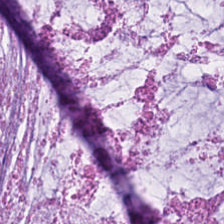Hematoxylin-and-eosin stained section.
Mucus.
